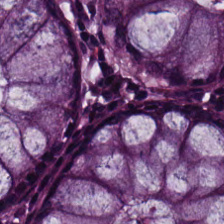The tissue type is non-neoplastic colon mucosa.
